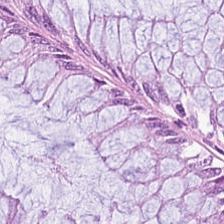Stain: H&E-stained tissue section.
Tissue: normal colon mucosa.
